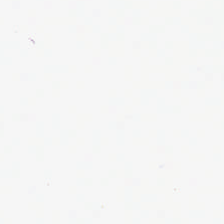Whole-slide-image patch. H&E stain. 224×224 px patch. This patch shows background (no tissue).
